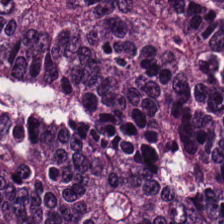Hematoxylin and eosin. 224×224 px patch. WSI patch — The predominant tissue is colorectal adenocarcinoma.
